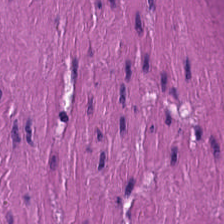H&E stain.
Tissue = smooth muscle.
